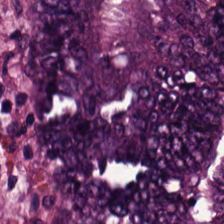H&E stain.
Q: What is the predominant tissue type?
A: Malignant epithelium.
